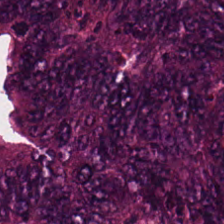Impression — colorectal adenocarcinoma epithelium.
